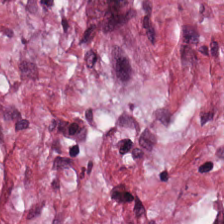H&E stain.
The tissue here is desmoplastic stroma.
